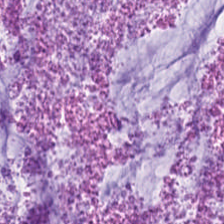20× equivalent magnification. Hematoxylin-and-eosin stained section. WSI patch. Classification = extracellular mucin.
